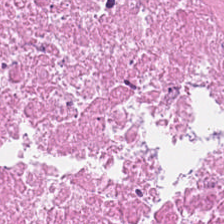Hematoxylin and eosin.
This patch shows necrotic debris.
